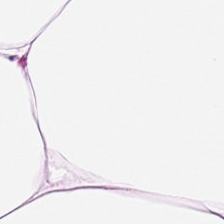Stain: hematoxylin and eosin.
Resolution: 0.5 µm per pixel.
Tissue class: fat tissue.
